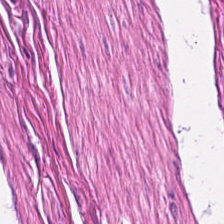H&E stain — Predominantly smooth muscle.
